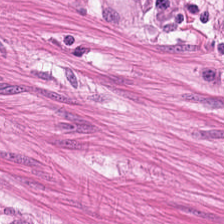Classification: smooth-muscle tissue.
